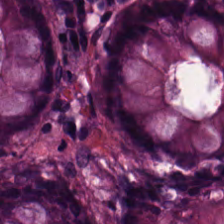Q: What is shown in this field?
A: The field shows benign colonic mucosa.
